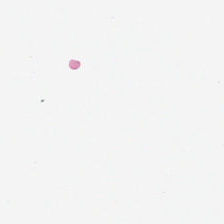H&E.
Field content — empty background.
